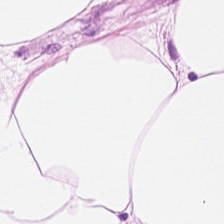Stain: H&E.
Preparation: FFPE tissue section.
Tile size: 224×224 px patch.
Tissue type: adipocytes.
